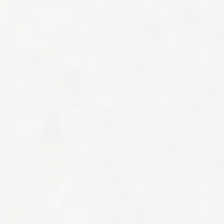Histology — background (no tissue).
